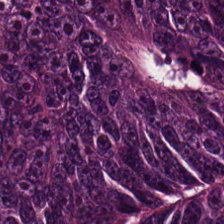Finding — adenocarcinoma.
